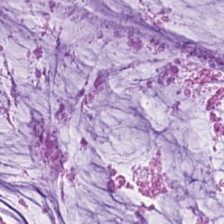Predominant tissue: mucus.
